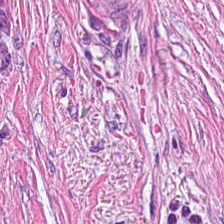Stain: H&E.
Resolution: 0.5 µm/px.
Acquisition: brightfield microscopy.
Tissue class: desmoplastic stroma.
